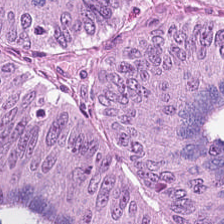224×224 px patch; H&E stain — Malignant epithelium.
